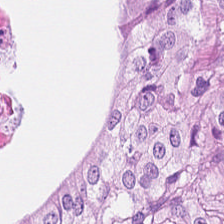Formalin-fixed paraffin-embedded section; hematoxylin and eosin — The predominant tissue is colorectal adenocarcinoma epithelium.
